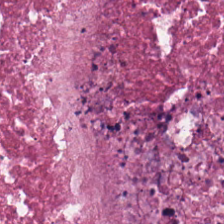Cellular debris.
